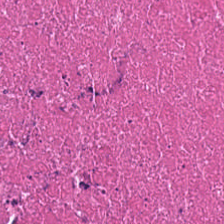H&E stain.
Q: Identify the tissue.
A: The field shows necrotic debris.
